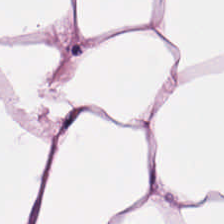H&E-stained tissue section. Q: What type of tissue is this?
A: Fat tissue.
